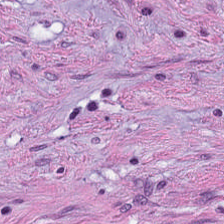H&E. Brightfield. Tissue: desmoplastic stroma.
